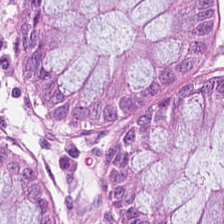Stain: hematoxylin and eosin.
Tissue: normal colon mucosa.
